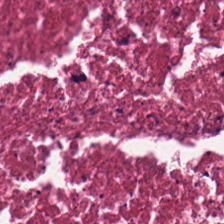Hematoxylin and eosin. {"tissue_type": "necrotic debris"}
